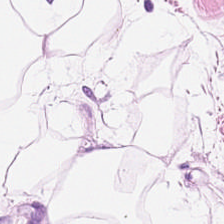Fat tissue.
